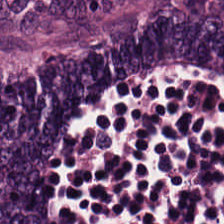H&E-stained tissue section — The predominant tissue is colorectal adenocarcinoma epithelium.
